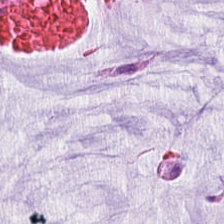224×224 px tile. Hematoxylin-and-eosin stained section. WSI patch. Q: What is the predominant tissue type?
A: The field shows mucin.
